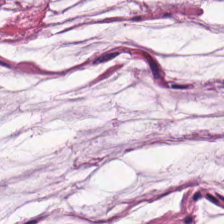H&E — Showing extracellular mucin.
